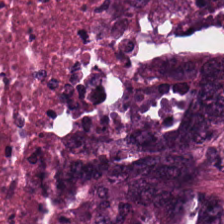Q: What tissue type is shown here?
A: It is colorectal adenocarcinoma epithelium.
